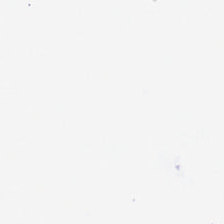Stain: hematoxylin-and-eosin stained section.
Acquisition: WSI patch.
Classification: no tissue.
